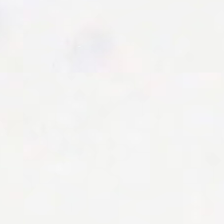Histology — empty background.
